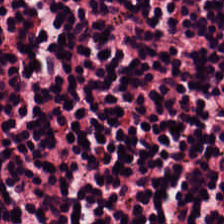0.5 µm/px · H&E-stained tissue section.
Showing lymphocyte aggregate.
